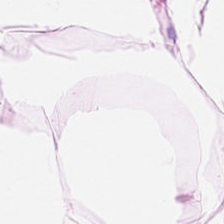Stain: hematoxylin-and-eosin stained section.
Predominant tissue: adipose.
